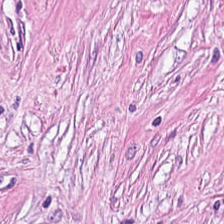H&E-stained section; the field shows tumor-associated stroma.
